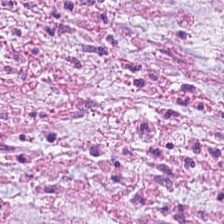Stain: hematoxylin-and-eosin stained section.
Tissue class: tumor stroma.
